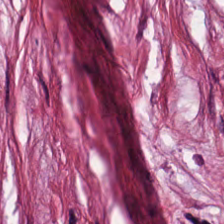Brightfield. H&E stain. 0.5 microns per pixel. Showing tumor-associated stroma.
